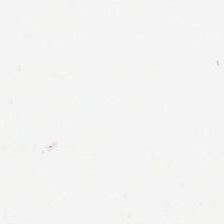Stain: hematoxylin-and-eosin stained section.
Content: background (no tissue).
